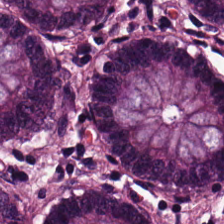The tissue class is normal colonic mucosa.
